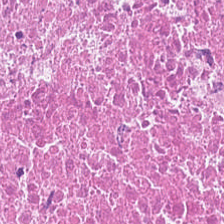H&E-stained tissue section; 224×224 px patch; brightfield microscopy. The tissue here is cellular debris.
